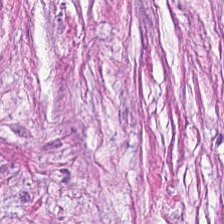Impression — tumor stroma.
